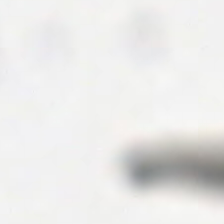Q: What does this patch show?
A: Empty background.
